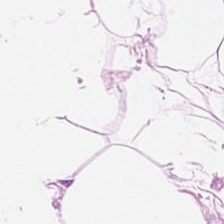20× equivalent magnification; FFPE; H&E stain — The tissue type is fat tissue.
